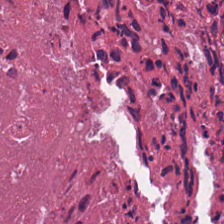Hematoxylin and eosin. Showing necrotic debris.
